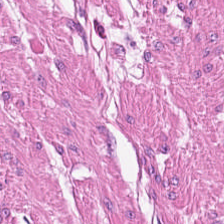Hematoxylin and eosin. 20× equivalent magnification. {"tissue_type": "smooth muscle"}
